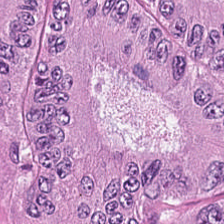224×224 pixel tile · H&E · WSI patch. Showing malignant epithelium.
